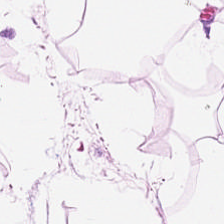H&E-stained tissue section · 0.5 µm/px · brightfield — {"tissue_type": "fat tissue"}
